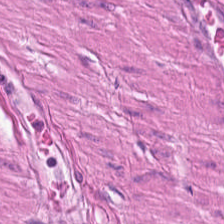Q: Classify this patch.
A: This is smooth-muscle tissue.
